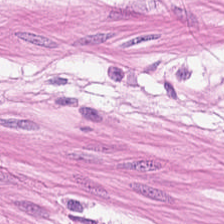Hematoxylin-and-eosin section: muscularis.
